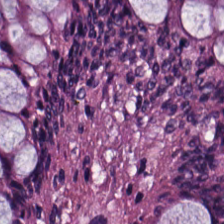H&E — This field is normal colonic mucosa.
